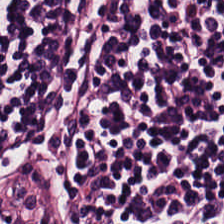Hematoxylin and eosin. Predominant tissue — lymphoid infiltrate.
